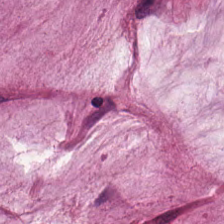Hematoxylin-and-eosin stained section · FFPE.
Predominant tissue: mucus.
